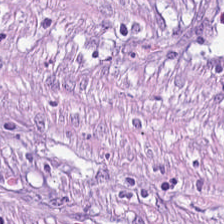Stain: hematoxylin and eosin.
Tissue: tumor stroma.
